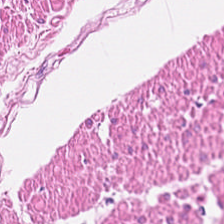Stain: H&E-stained tissue section.
Tissue type: smooth-muscle tissue.
